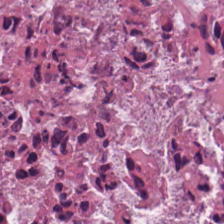H&E stain — Showing necrotic debris.
